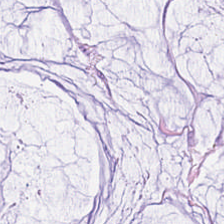H&E. 0.5 µm/px — {"tissue_type": "extracellular mucin"}
